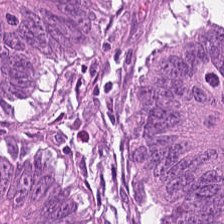H&E-stained section; the field shows adenocarcinoma.
